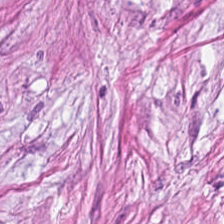Hematoxylin-and-eosin section: tumor stroma.
